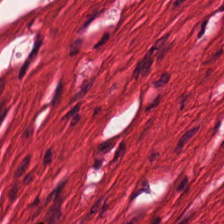Stain: hematoxylin-and-eosin stained section.
Resolution: 20× equivalent magnification.
Tissue class: smooth muscle.
